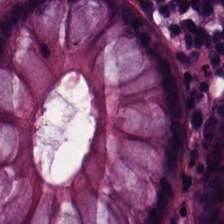224×224 pixel tile; H&E stain. Tissue class: non-neoplastic colon mucosa.
